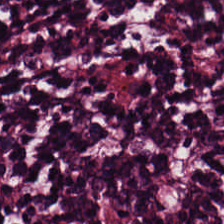Brightfield · 224×224 pixel tile · H&E stain.
Q: What tissue type is shown here?
A: It is lymphocyte aggregate.
